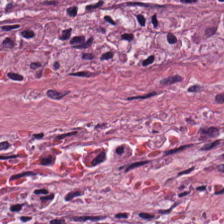Hematoxylin-and-eosin stained section · 0.5 microns per pixel.
Tissue = desmoplastic stroma.
